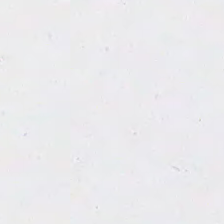Classification: no tissue.
